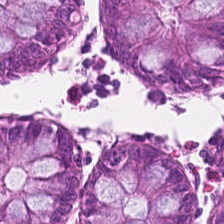Stain: hematoxylin and eosin.
Tile size: 224×224 px tile.
Resolution: 20× equivalent magnification.
Classification: normal colon mucosa.
